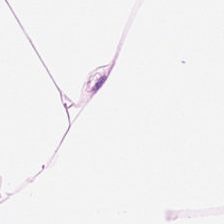Hematoxylin and eosin; 0.5 µm per pixel — This field is adipose tissue.
